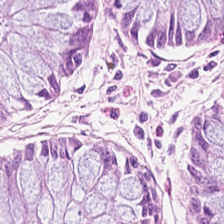0.5 microns per pixel; H&E-stained tissue section.
Predominantly normal colonic mucosa.
